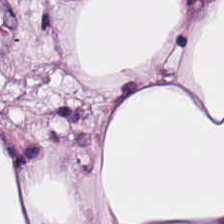Stain: hematoxylin and eosin.
Tissue class: adipose.
